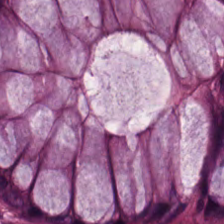H&E-stained section; the field shows benign colonic mucosa.
